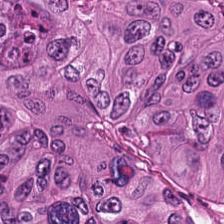Q: What is the predominant tissue type?
A: It is malignant epithelium.
